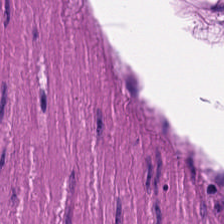Hematoxylin and eosin · 0.5 microns per pixel. Histology — smooth muscle.
